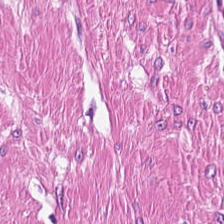224×224 pixel tile; brightfield; H&E stain — Showing muscularis.
